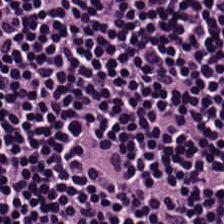H&E.
Classification: lymphocytic infiltrate.
